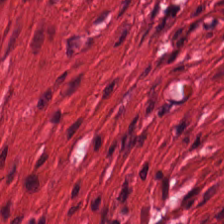Hematoxylin and eosin.
{"tissue_type": "muscularis"}
